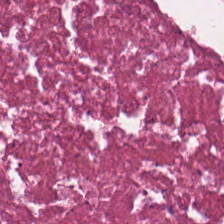Stain: H&E.
Predominant tissue: debris.
